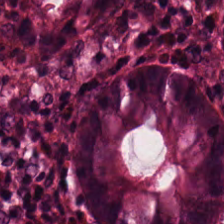The classification is normal colon mucosa.
